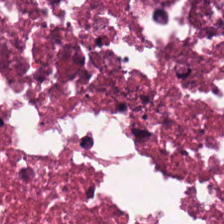FFPE tissue section · H&E-stained tissue section. This field is debris.
